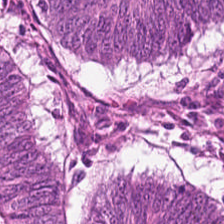H&E — Predominant tissue — tumor epithelium.
